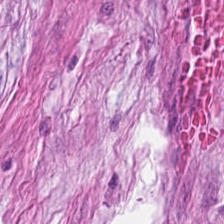H&E. The predominant tissue is tumor-associated stroma.
